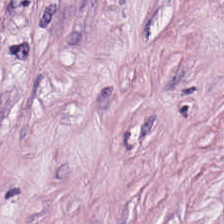The tissue here is tumor stroma.
